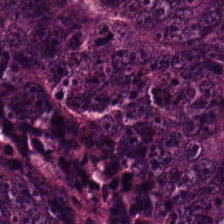H&E.
Q: Classify this patch.
A: It is adenocarcinoma.
